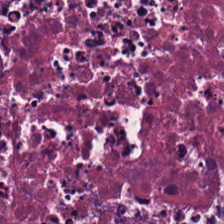H&E patch showing necrotic debris.
